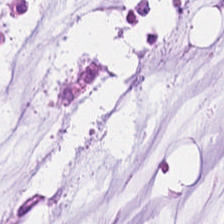H&E-stained tissue section — Finding — mucin.
